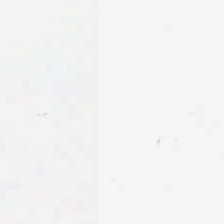H&E stain — Field content = background.
